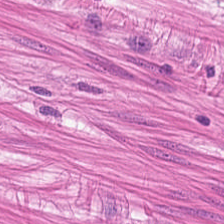WSI patch. Hematoxylin-and-eosin stained section. The tissue here is smooth muscle.
